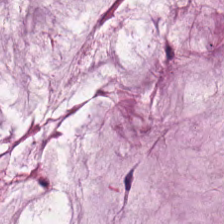Hematoxylin-and-eosin stained section · 0.5 µm/px · WSI patch — The tissue here is extracellular mucin.
